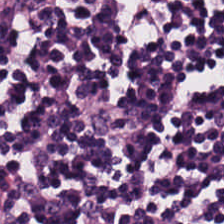Stain: H&E stain.
Preparation: formalin-fixed paraffin-embedded section.
Acquisition: WSI patch.
Tissue type: lymphocytic infiltrate.
